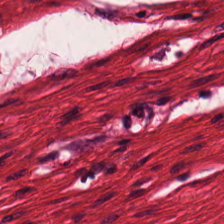Stain: H&E-stained tissue section.
Acquisition: whole-slide-image patch.
Tissue type: smooth-muscle tissue.
